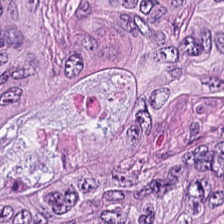H&E. Tumor epithelium.
